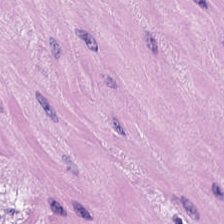224×224 px tile; H&E stain.
Q: Identify the tissue.
A: It is smooth muscle.
